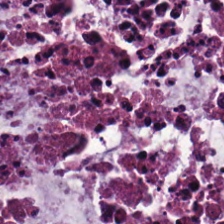The classification is mucus.
